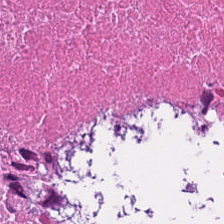The tissue here is necrotic debris.
